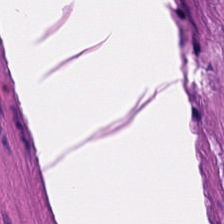H&E. Q: Classify this patch.
A: Smooth muscle.
